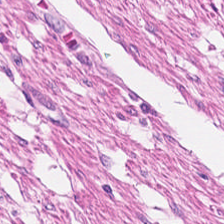H&E-stained tissue section.
Q: What is the predominant tissue type?
A: This is smooth muscle.
